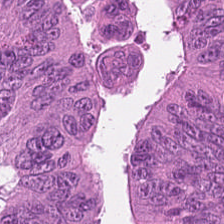H&E stain. Brightfield microscopy.
Malignant epithelium.
